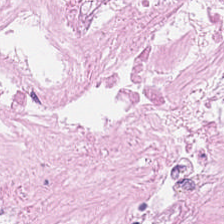Hematoxylin and eosin.
The tissue class is cellular debris.
